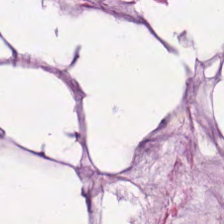H&E. 0.5 µm/px. Impression — mucin.
